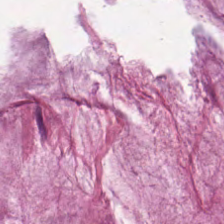H&E-stained tissue section. Classification: mucus.
